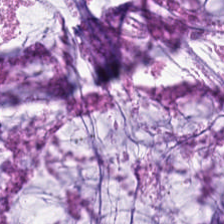H&E-stained tissue section — The tissue class is mucus.
